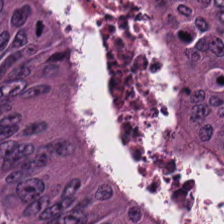This patch shows colorectal adenocarcinoma.
